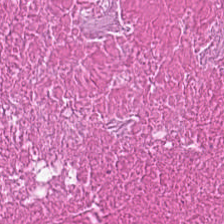Hematoxylin-and-eosin stained section. Predominant tissue — necrotic debris.
